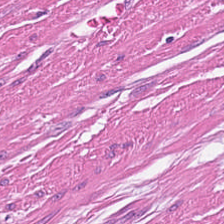Predominant tissue — muscularis.
